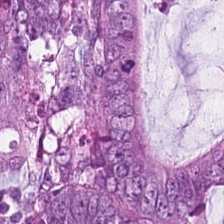Whole-slide-image patch. H&E-stained tissue section — Q: What tissue type is shown here?
A: It is adenocarcinoma.
